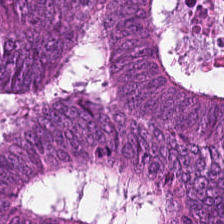This patch shows colorectal adenocarcinoma.
